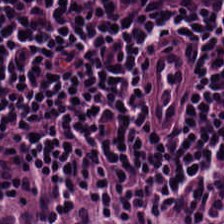Lymphocyte aggregate.
